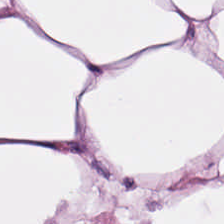0.5 µm/px · brightfield microscopy · hematoxylin-and-eosin stained section — The predominant tissue is adipose.
